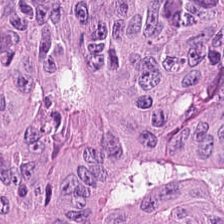The tissue is adenocarcinoma.
